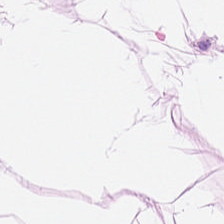H&E stain — This field is adipocytes.
